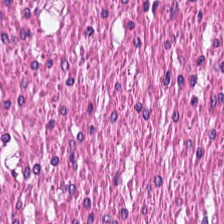WSI patch · hematoxylin and eosin · 224×224 px patch.
The tissue here is smooth muscle.
